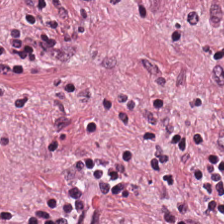0.5 microns per pixel · hematoxylin and eosin — Histology → cancer-associated stroma.
